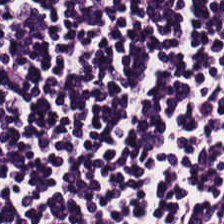Stain: hematoxylin and eosin.
Predominant tissue: lymphocytic infiltrate.
